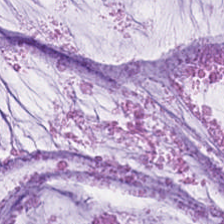H&E stain.
Mucin.
